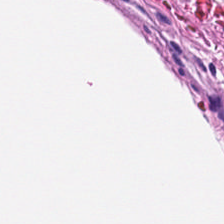Hematoxylin-and-eosin section: smooth muscle.
